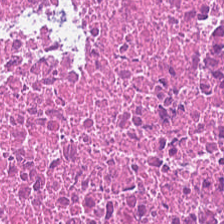H&E stain.
Impression — necrotic debris.
